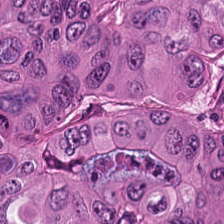Tissue type: colorectal adenocarcinoma epithelium.
